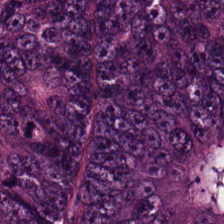WSI patch. 224×224 px patch. Hematoxylin and eosin.
{"tissue_type": "adenocarcinoma"}
